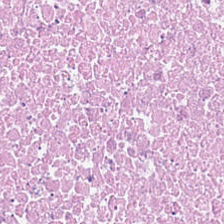Hematoxylin-and-eosin stained section · 0.5 microns per pixel. Q: What tissue type is shown here?
A: This is necrotic debris.
